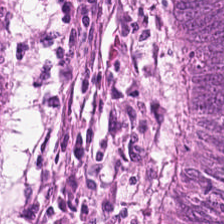Stain: H&E.
Tissue: malignant epithelium.
